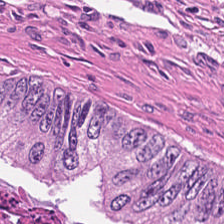Classification — cellular debris.
